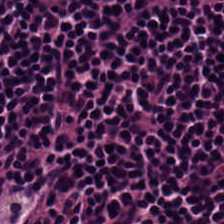Formalin-fixed paraffin-embedded section. Hematoxylin and eosin — This field is lymphocyte aggregate.
